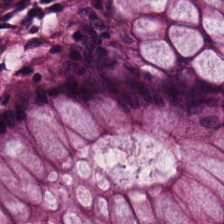H&E — Predominant tissue — normal colonic mucosa.
